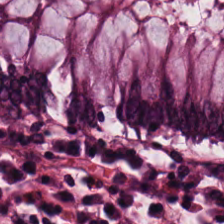H&E stain. Classification — benign colonic mucosa.
